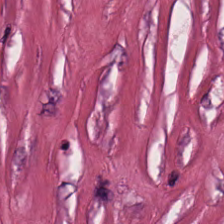H&E stain.
Q: What type of tissue is this?
A: It is tumor stroma.
